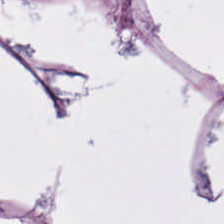H&E. Q: What does this patch show?
A: This is fat tissue.
